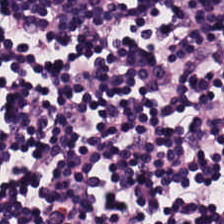20× equivalent magnification; H&E-stained tissue section; 224×224 pixel tile — The predominant tissue is lymphocyte aggregate.
